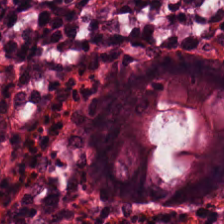Hematoxylin and eosin — Showing benign colonic mucosa.
